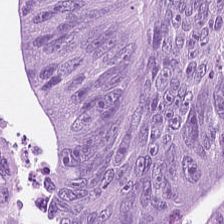Stain: H&E-stained tissue section.
Tissue class: malignant epithelium.
